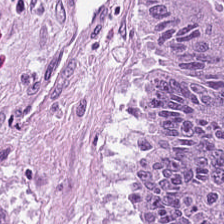0.5 microns per pixel. H&E stain. 224×224 pixel tile. The predominant tissue is colorectal adenocarcinoma epithelium.
